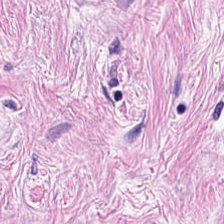Stain: H&E stain.
Tissue class: cancer-associated stroma.
